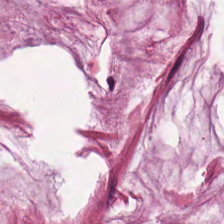Stain: hematoxylin and eosin.
Resolution: 0.5 µm/px.
Tissue: mucin.
